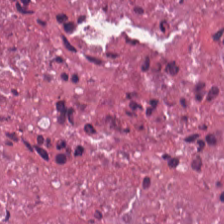Hematoxylin and eosin.
The tissue here is debris.
